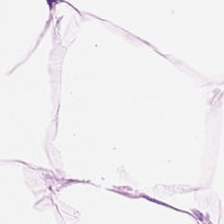H&E-stained tissue section. The classification is adipose tissue.
